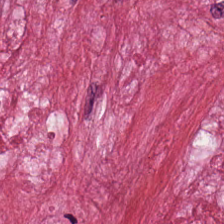224×224 pixel tile; hematoxylin and eosin.
Tumor-associated stroma.
